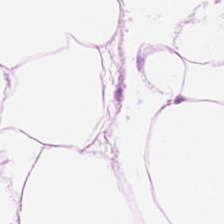This field is fat tissue.
